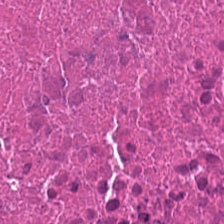H&E. Tissue class = debris.
